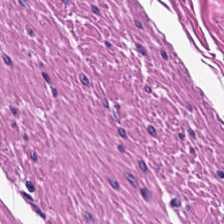H&E. FFPE. This field is smooth muscle.
